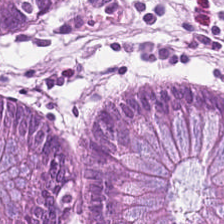Hematoxylin and eosin.
Q: What tissue type is shown here?
A: The field shows normal colonic mucosa.
